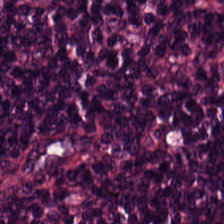H&E.
The predominant tissue is lymphocytic infiltrate.
